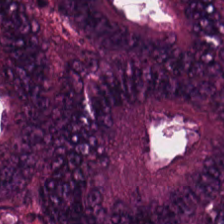H&E — tumor epithelium.
